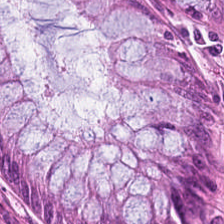H&E stain — Predominantly non-neoplastic colon mucosa.
